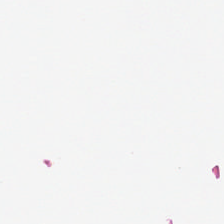Hematoxylin-and-eosin stained section.
This patch shows background.
